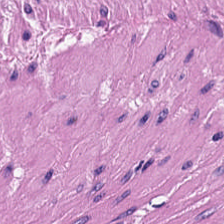Stain: H&E stain.
Resolution: 0.5 microns per pixel.
Tissue class: muscularis.
